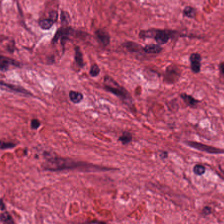H&E-stained tissue section. Q: What tissue is shown?
A: The field shows cancer-associated stroma.
